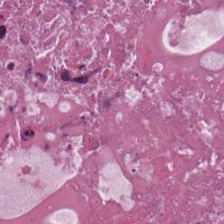H&E stain. Tissue class — necrotic debris.
